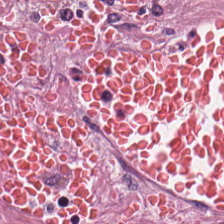Brightfield. Hematoxylin and eosin — Q: Classify this patch.
A: Cancer-associated stroma.
